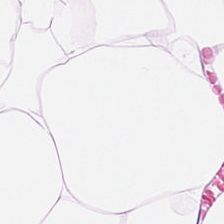Hematoxylin-and-eosin stained section. 224×224 px tile.
Histology — adipocytes.
